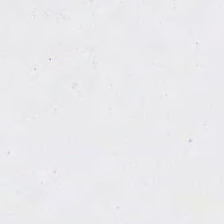224×224 pixel tile · hematoxylin-and-eosin stained section. Content: background.
